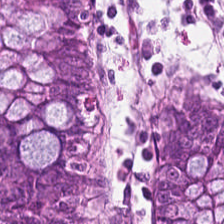FFPE tissue section; H&E stain.
This field is normal colonic mucosa.
